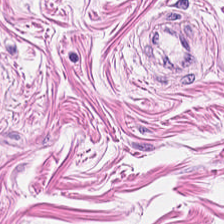224×224 pixel tile. Hematoxylin and eosin. {"tissue_type": "muscularis"}
